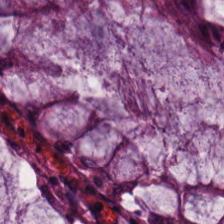{"tissue_type": "normal colon mucosa"}
